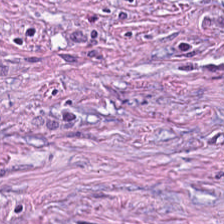Classification: tumor-associated stroma.
